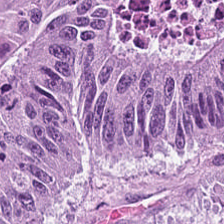Hematoxylin-and-eosin stained section. Predominantly tumor epithelium.
